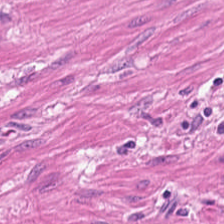Formalin-fixed paraffin-embedded section. H&E-stained tissue section. Whole-slide-image patch — The tissue is smooth muscle.
